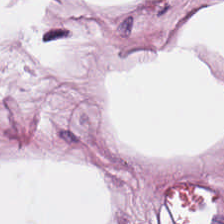Classification: adipocytes.
